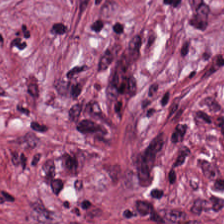Tissue — tumor-associated stroma.
